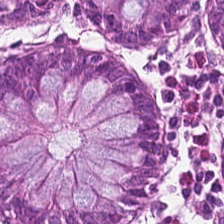224×224 px patch · 0.5 µm/px · H&E.
Tissue = benign colonic mucosa.
